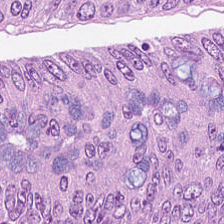H&E stain. 20× equivalent magnification — The tissue here is tumor epithelium.
